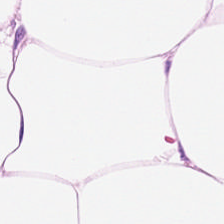H&E stain · 0.5 µm/px.
The tissue here is adipocytes.
